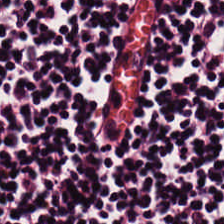H&E-stained tissue section · FFPE tissue section.
Showing lymphocyte aggregate.
